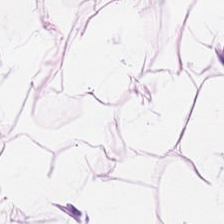WSI patch. 0.5 microns per pixel. H&E-stained tissue section — Q: Identify the tissue.
A: The field shows adipocytes.
